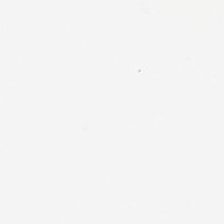H&E-stained tissue section. {"content": "empty background"}
